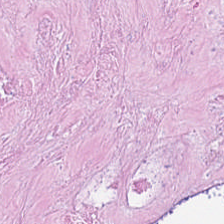H&E.
{"tissue_type": "necrotic debris"}
